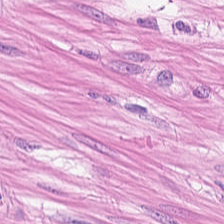Tissue: smooth muscle.
